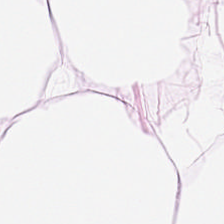H&E-stained tissue section — Predominantly adipose tissue.
